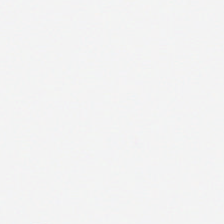Hematoxylin-and-eosin stained section. No tissue present; background only.
